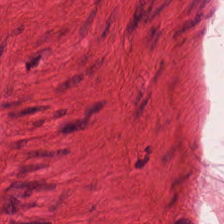Impression → muscularis.
